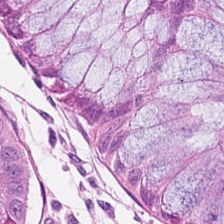{"tissue_type": "normal colon mucosa"}
